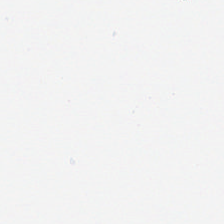Hematoxylin-and-eosin stained section.
This field is background (no tissue).
